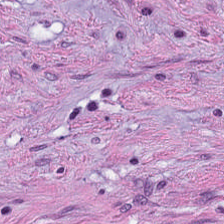Predominantly tumor stroma.
